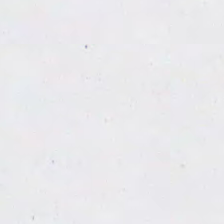WSI patch. H&E — The classification is no tissue.
